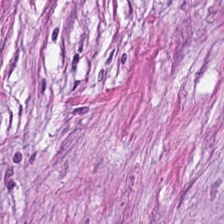Hematoxylin-and-eosin stained section — This patch shows tumor stroma.
